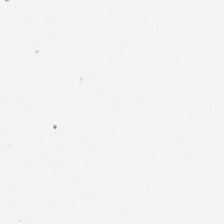H&E. Q: Classify this patch.
A: It is background.
